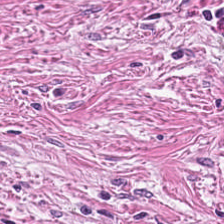H&E-stained tissue section — This patch shows cancer-associated stroma.
